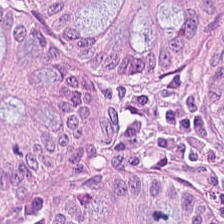Hematoxylin-and-eosin stained section. Histology — non-neoplastic colon mucosa.
